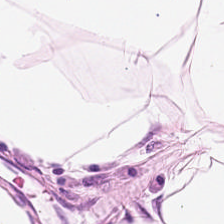WSI patch · 0.5 µm/px · hematoxylin-and-eosin stained section — Tissue type — adipose.
